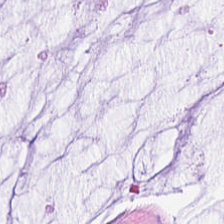224×224 px tile · H&E stain · WSI patch. The predominant tissue is mucin.
